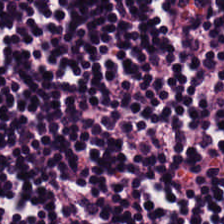Hematoxylin and eosin.
Showing lymphocytic infiltrate.
